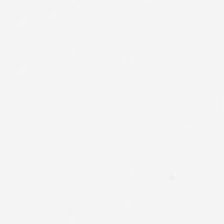H&E — Empty background.
